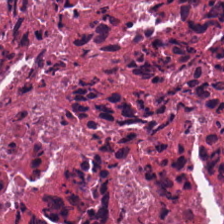H&E stain; FFPE.
Impression → necrotic debris.
